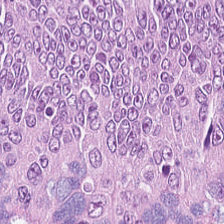H&E.
{"tissue_type": "tumor epithelium"}
